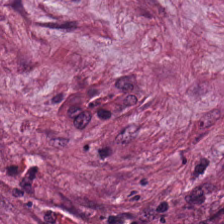H&E.
Tissue type = desmoplastic stroma.
